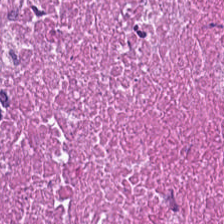Hematoxylin and eosin · formalin-fixed paraffin-embedded section.
Impression → necrotic debris.
